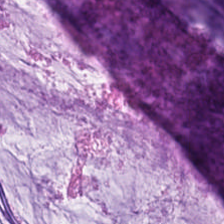H&E stain. Brightfield microscopy.
Mucin.
